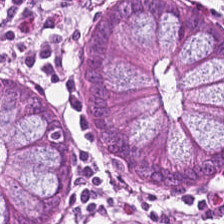224×224 pixel tile · hematoxylin and eosin. Q: What is shown here?
A: Normal colon mucosa.
